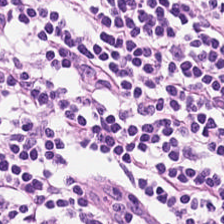Tissue class = lymphoid infiltrate.
